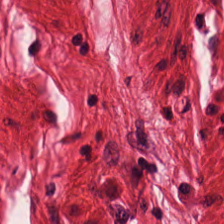H&E.
This field is smooth muscle.
